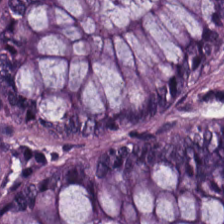Hematoxylin-and-eosin stained section — This field is non-neoplastic colon mucosa.
